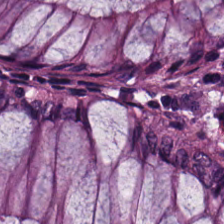The tissue here is non-neoplastic colon mucosa.
